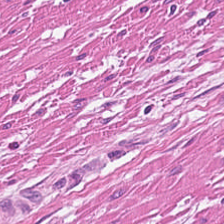H&E-stained tissue section. 224×224 pixel tile. Brightfield — Q: Classify this patch.
A: The field shows smooth-muscle tissue.
